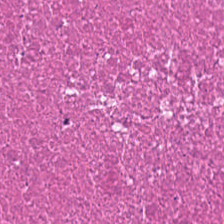Hematoxylin and eosin; 0.5 microns per pixel — This patch shows debris.
